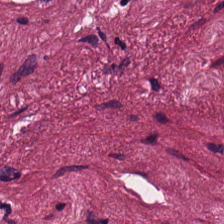H&E; 224×224 px patch — The tissue here is tumor stroma.
